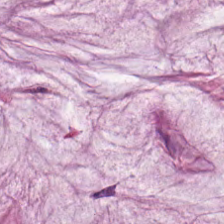H&E-stained tissue section — Q: Classify this patch.
A: Mucus.
